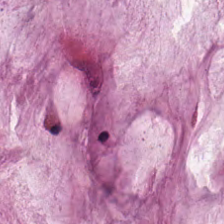H&E-stained tissue section.
Mucus.
